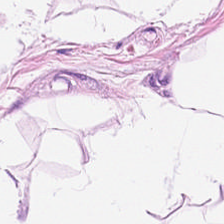Stain: hematoxylin-and-eosin stained section.
Preparation: FFPE.
Tissue class: fat tissue.
